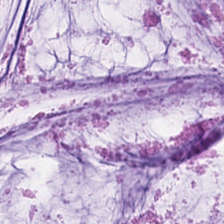Q: What tissue type is shown here?
A: It is mucin.
